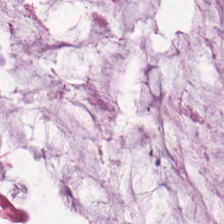H&E stain.
Predominantly mucus.
